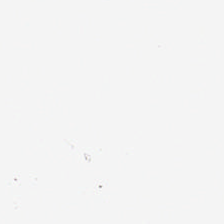Hematoxylin-and-eosin stained section. 20× equivalent magnification. WSI patch — Q: What does this patch show?
A: Background.
